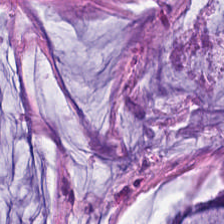Predominantly mucus.
